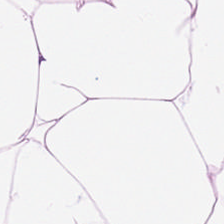Stain: H&E.
Acquisition: brightfield microscopy.
Predominant tissue: adipose.
